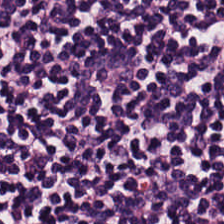Stain: hematoxylin and eosin.
Resolution: 20× equivalent magnification.
Preparation: FFPE.
Tissue type: lymphocyte aggregate.
